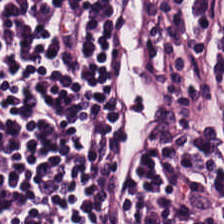Stain: H&E.
Tissue: lymphocytic infiltrate.
